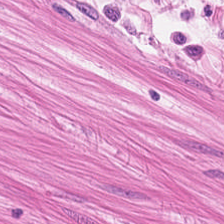H&E-stained section; the field shows muscularis.
